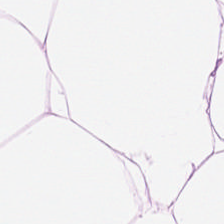Stain: H&E stain.
Classification: adipocytes.
